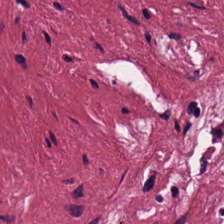Stain: H&E-stained tissue section.
Resolution: 0.5 microns per pixel.
Tissue type: cancer-associated stroma.
